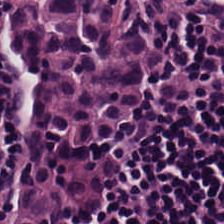Hematoxylin-and-eosin stained section.
Finding — lymphocytic infiltrate.
